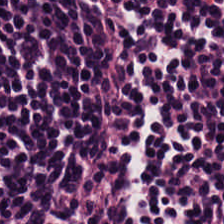H&E-stained tissue section.
This field is lymphoid infiltrate.
